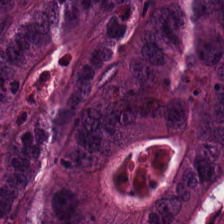H&E patch showing colorectal adenocarcinoma epithelium.
